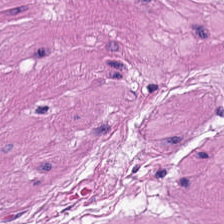Hematoxylin-and-eosin stained section. The predominant tissue is smooth muscle.
